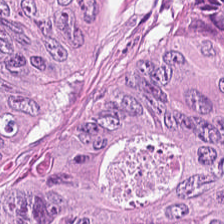H&E-stained tissue section. 20× equivalent magnification — Q: What tissue is shown?
A: Adenocarcinoma.
